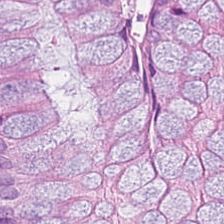Formalin-fixed paraffin-embedded section; H&E. This patch shows normal colon mucosa.
